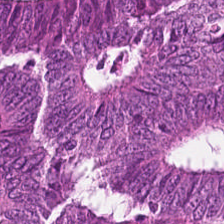Impression → adenocarcinoma.
